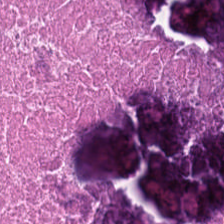0.5 µm/px · hematoxylin and eosin.
Necrotic debris.
